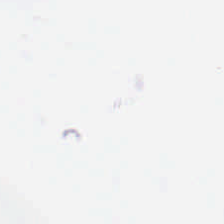The content is background.
